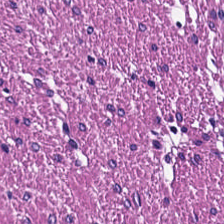Finding — smooth muscle.
